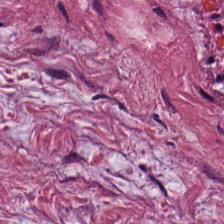Hematoxylin and eosin.
The predominant tissue is tumor stroma.
